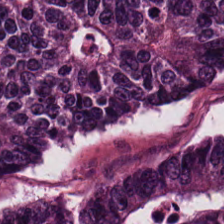H&E stain. Formalin-fixed paraffin-embedded section — {"tissue_type": "colorectal adenocarcinoma epithelium"}
